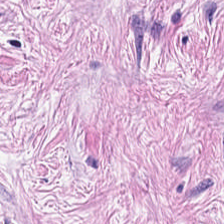224×224 pixel tile · H&E. The tissue here is tumor-associated stroma.
